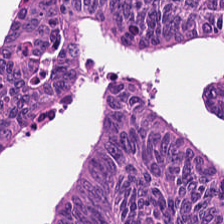H&E-stained tissue section · FFPE tissue section.
The predominant tissue is adenocarcinoma.
